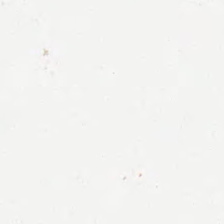Stain: H&E-stained tissue section.
Acquisition: brightfield.
Classification: background.
